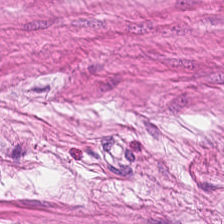Hematoxylin and eosin. This patch shows smooth muscle.
